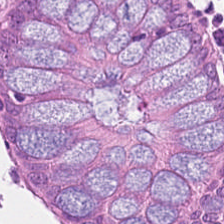Brightfield microscopy; H&E-stained tissue section.
Tissue = non-neoplastic colon mucosa.
